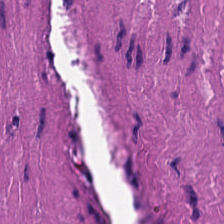H&E stain. 0.5 microns per pixel. 224×224 pixel tile.
Q: Classify this patch.
A: It is smooth-muscle tissue.
